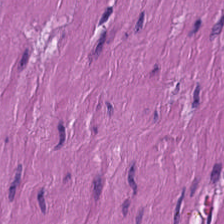H&E. Tissue: muscularis.
